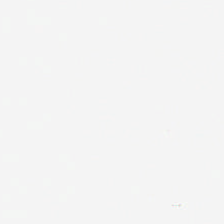Hematoxylin-and-eosin stained section.
Empty field — background.
